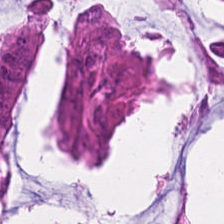Hematoxylin-and-eosin stained section; 20× equivalent magnification; 224×224 px patch.
Tissue type = colorectal adenocarcinoma epithelium.
